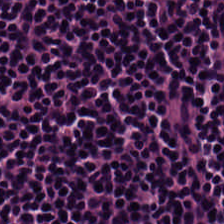0.5 µm/px · hematoxylin-and-eosin stained section · brightfield. Q: Classify this patch.
A: Lymphocytic infiltrate.
